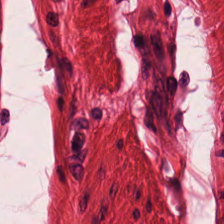Stain: hematoxylin-and-eosin stained section.
Tissue: muscularis.
